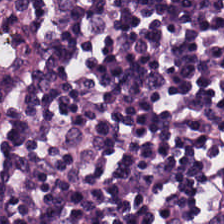Hematoxylin and eosin.
Tissue type = lymphoid infiltrate.
